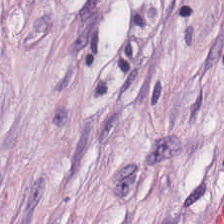H&E-stained tissue section; 20× equivalent magnification; WSI patch.
This field is tumor-associated stroma.
